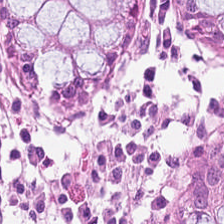Tissue type — non-neoplastic colon mucosa.
